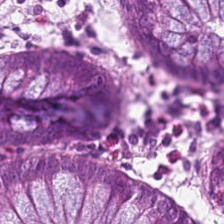Whole-slide-image patch · hematoxylin and eosin — Q: What does this patch show?
A: Normal colon mucosa.
